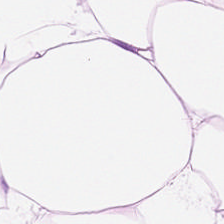The tissue class is adipose tissue.
